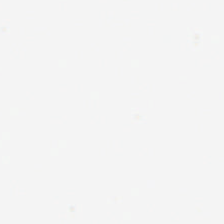0.5 µm per pixel; hematoxylin and eosin — This field is background (no tissue).
